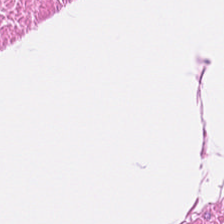224×224 px tile; hematoxylin-and-eosin stained section.
Smooth muscle.
